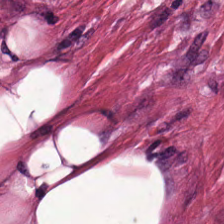Hematoxylin-and-eosin stained section. 224×224 px tile — Tissue type = desmoplastic stroma.
